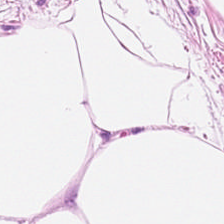Hematoxylin-and-eosin section: adipose.
